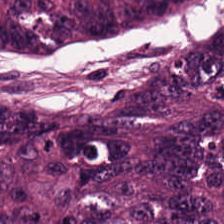Q: What tissue type is shown here?
A: Colorectal adenocarcinoma.
